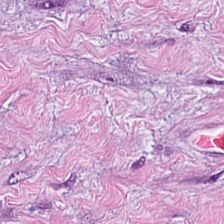Brightfield; H&E-stained tissue section. Predominantly cancer-associated stroma.
